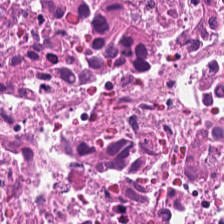224×224 pixel tile · H&E — Q: Identify the tissue.
A: Debris.
